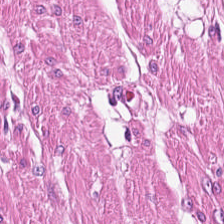Stain: H&E stain.
Predominant tissue: smooth-muscle tissue.
